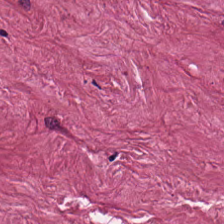Hematoxylin and eosin — Q: Classify this patch.
A: Tumor-associated stroma.
